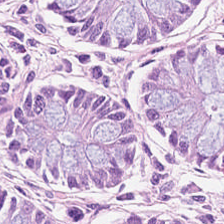Hematoxylin-and-eosin stained section.
Predominant tissue: normal colon mucosa.
